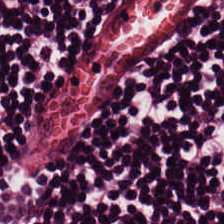Predominant tissue: lymphoid infiltrate.
